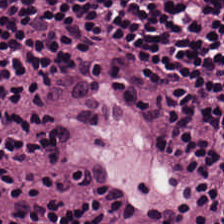Hematoxylin and eosin — The predominant tissue is lymphocytes.
